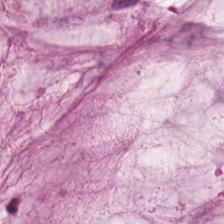Hematoxylin-and-eosin stained section — Predominant tissue = mucin.
